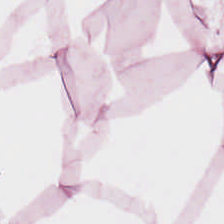H&E-stained tissue section; brightfield microscopy. Showing adipocytes.
